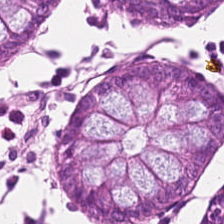Q: What tissue is shown?
A: It is benign colonic mucosa.
